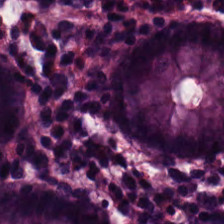H&E-stained tissue section.
Classification — normal colonic mucosa.
